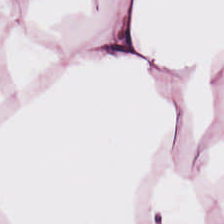H&E stain. 0.5 µm/px. Tissue — fat tissue.
